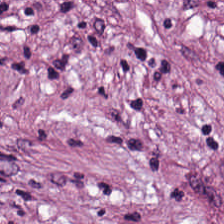H&E.
Showing desmoplastic stroma.
